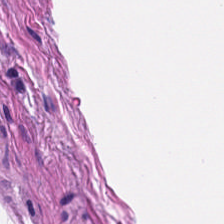H&E-stained tissue section. The predominant tissue is muscularis.
